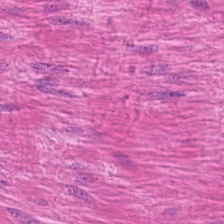0.5 µm/px · 224×224 px tile · H&E. Q: What is the predominant tissue type?
A: Smooth muscle.
